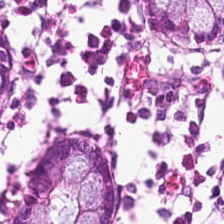Stain: H&E-stained tissue section.
Classification: benign colonic mucosa.
